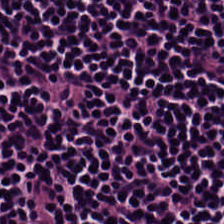Tissue = lymphocytic infiltrate.
